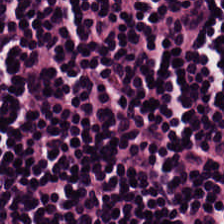Stain: hematoxylin and eosin.
Tissue type: lymphoid infiltrate.
